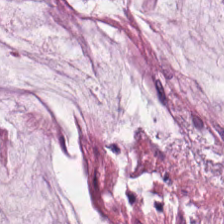0.5 µm/px · hematoxylin-and-eosin stained section — Impression — mucin.
